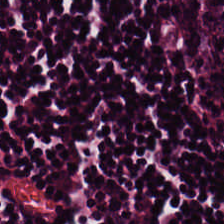Lymphocytes.
